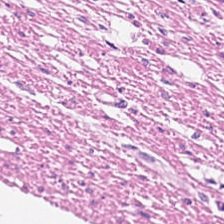H&E stain — Tissue class = smooth muscle.
